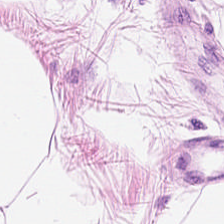H&E stain.
Tissue type: adipose tissue.
